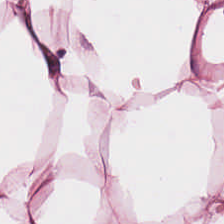Brightfield; hematoxylin and eosin — Q: What is the predominant tissue type?
A: This is adipocytes.
